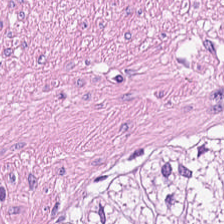Hematoxylin-and-eosin stained section. {"tissue_type": "smooth muscle"}
